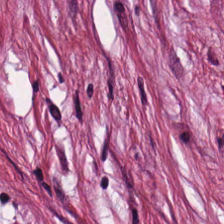H&E-stained tissue section. This patch shows tumor-associated stroma.
